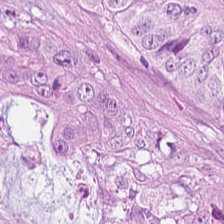Whole-slide-image patch. H&E stain — Tissue = colorectal adenocarcinoma.
